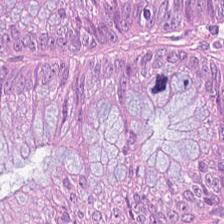H&E-stained tissue section. Tissue class = malignant epithelium.
